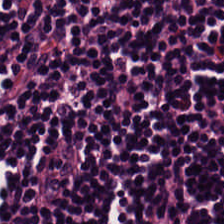FFPE · H&E stain — Predominantly lymphoid infiltrate.
